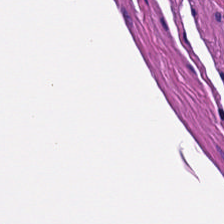Hematoxylin-and-eosin stained section — Q: Identify the tissue.
A: This is smooth muscle.
